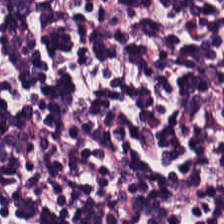224×224 px patch · WSI patch · hematoxylin and eosin — The tissue class is lymphoid infiltrate.
